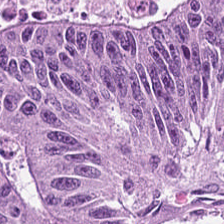Hematoxylin-and-eosin stained section; 224×224 pixel tile. Classification: tumor epithelium.
